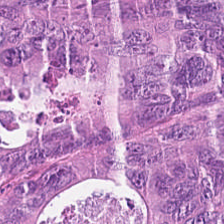H&E-stained tissue section. FFPE tissue section — Histology — colorectal adenocarcinoma epithelium.
